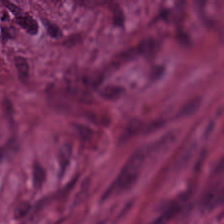H&E — Finding → tumor-associated stroma.
